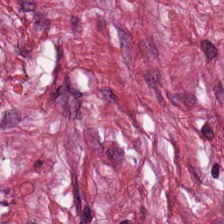H&E-stained tissue section — This patch shows tumor stroma.
